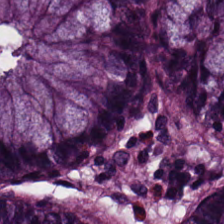Finding → normal colon mucosa.
